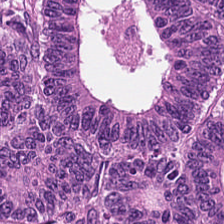Hematoxylin-and-eosin stained section — The tissue is colorectal adenocarcinoma.
